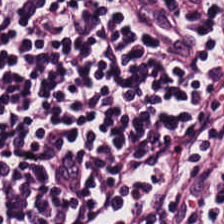Hematoxylin and eosin; whole-slide-image patch.
This field is lymphocytes.
